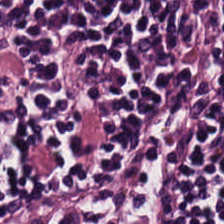224×224 px tile. FFPE tissue section. H&E. The tissue type is lymphoid infiltrate.
